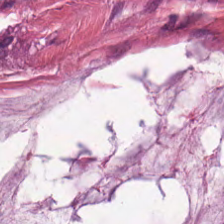Stain: hematoxylin-and-eosin stained section.
Tile size: 224×224 px tile.
Classification: mucin.
